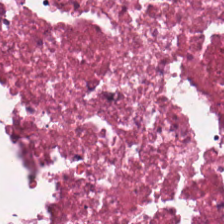H&E. 224×224 px patch. Whole-slide-image patch.
This field is cellular debris.
